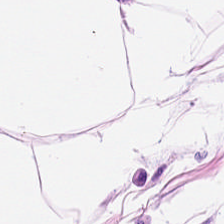H&E — adipose tissue.
